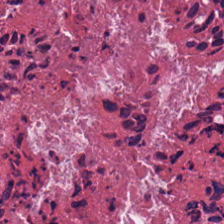H&E — This field is debris.
